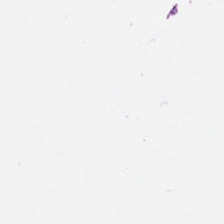H&E-stained tissue section. No tissue present; background only.
